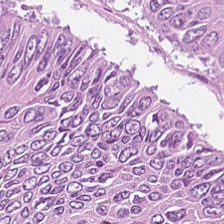H&E. Q: Identify the tissue.
A: It is colorectal adenocarcinoma epithelium.
